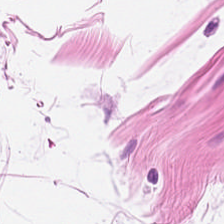Brightfield microscopy · hematoxylin-and-eosin stained section — This patch shows adipose tissue.
